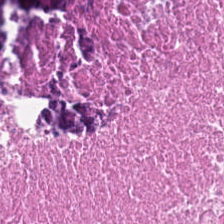Stain: H&E stain.
Predominant tissue: cellular debris.
